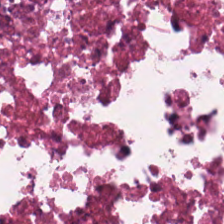H&E. Necrotic debris.
